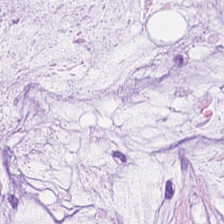Stain: hematoxylin-and-eosin stained section.
Resolution: 0.5 µm/px.
Tile size: 224×224 px patch.
Predominant tissue: mucin.
